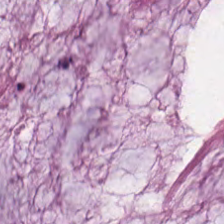Hematoxylin-and-eosin stained section · FFPE. Classification — mucus.
